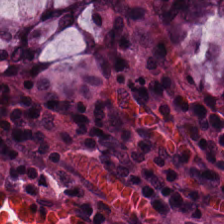Impression — benign colonic mucosa.
